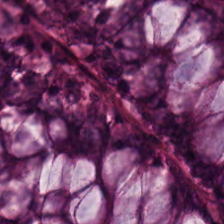Stain: hematoxylin-and-eosin stained section.
Tissue type: non-neoplastic colon mucosa.
